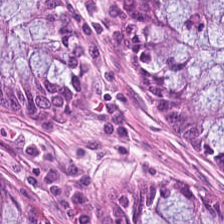Hematoxylin-and-eosin stained section · 224×224 px tile.
The classification is normal colon mucosa.
